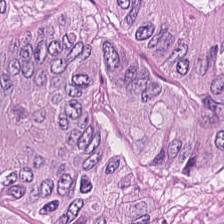FFPE. Hematoxylin and eosin — This patch shows colorectal adenocarcinoma.
